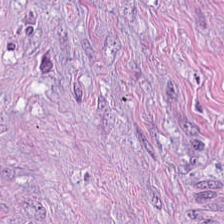Classification = tumor-associated stroma.
